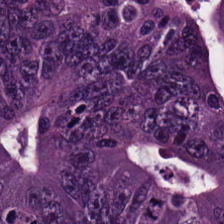0.5 microns per pixel · H&E-stained tissue section · formalin-fixed paraffin-embedded section — The tissue here is tumor epithelium.
